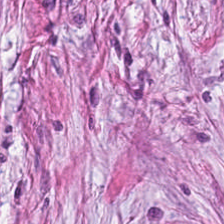H&E — The tissue here is tumor-associated stroma.
